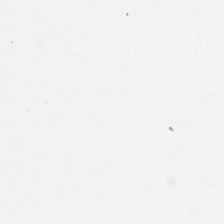Brightfield; H&E — Q: What is shown here?
A: This is background (no tissue).
